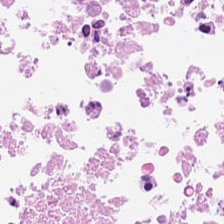Brightfield microscopy · hematoxylin-and-eosin stained section. {"tissue_type": "necrotic debris"}
